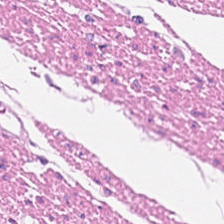0.5 µm per pixel · brightfield · hematoxylin and eosin. Predominantly muscularis.
